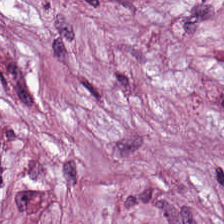H&E-stained tissue section. The classification is cancer-associated stroma.
